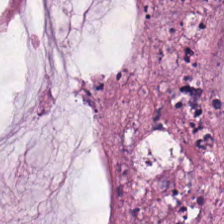Hematoxylin and eosin · brightfield microscopy — Q: What tissue type is shown here?
A: It is extracellular mucin.
